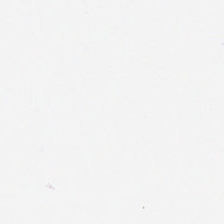The tissue class is fat tissue.
